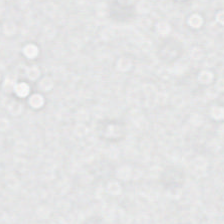Q: What is shown in this field?
A: Background.
